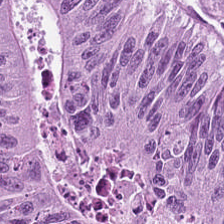H&E-stained section; the field shows colorectal adenocarcinoma epithelium.
